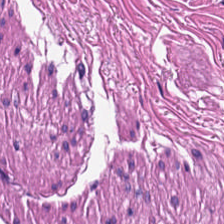224×224 pixel tile. H&E. Histology — smooth-muscle tissue.
